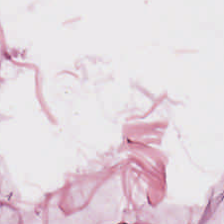FFPE · H&E-stained tissue section · whole-slide-image patch.
The tissue class is adipocytes.
